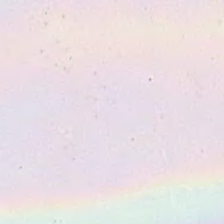Hematoxylin-and-eosin stained section — Content: background (no tissue).
